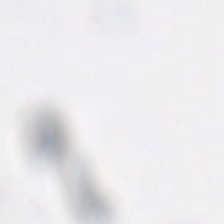H&E-stained tissue section — Histology — background.
